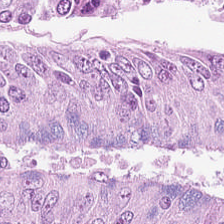Hematoxylin and eosin — Adenocarcinoma.
